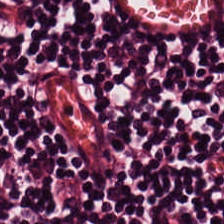Tissue: lymphocyte aggregate.
